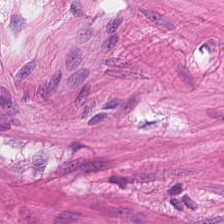FFPE tissue section · WSI patch · hematoxylin-and-eosin stained section. The tissue here is muscularis.
